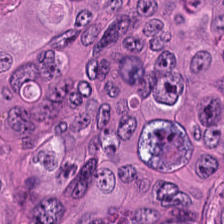H&E stain · FFPE.
Predominant tissue — malignant epithelium.
